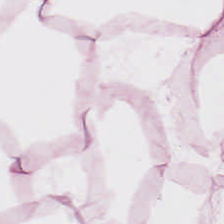FFPE · hematoxylin and eosin. Tissue type = fat tissue.
